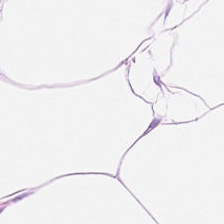Q: Identify the tissue.
A: This is fat tissue.
